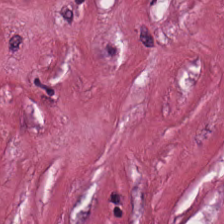Stain: H&E.
Predominant tissue: tumor stroma.
